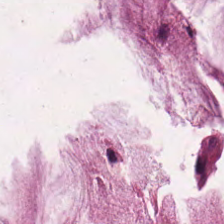The tissue is extracellular mucin.
